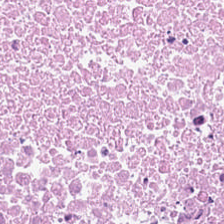H&E.
The predominant tissue is necrotic debris.
